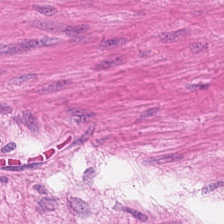Stain: H&E stain.
Classification: smooth muscle.
